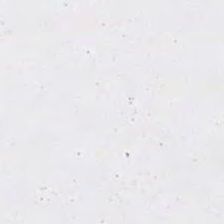224×224 pixel tile. Hematoxylin-and-eosin stained section.
Background (no tissue).
